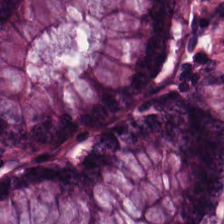H&E.
The tissue is normal colon mucosa.
